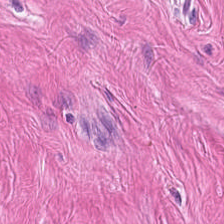Q: Identify the tissue.
A: It is smooth-muscle tissue.
